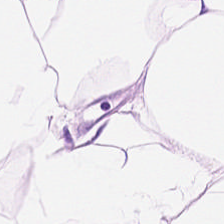H&E stain.
Predominant tissue — adipose.
